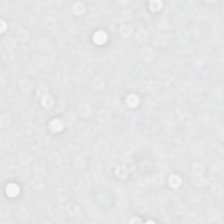Hematoxylin and eosin; 0.5 microns per pixel.
This patch shows no tissue.
